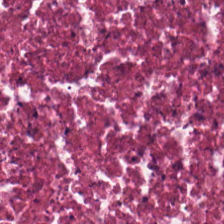Stain: H&E.
Classification: cellular debris.
